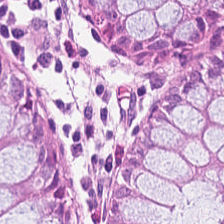H&E-stained tissue section — The tissue type is non-neoplastic colon mucosa.
